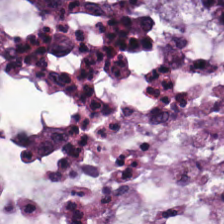{"tissue_type": "mucin"}
